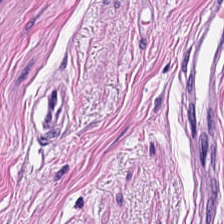Smooth-muscle tissue.
